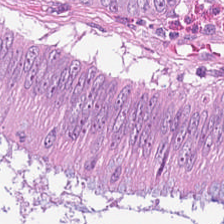H&E-stained tissue section; brightfield microscopy — Showing tumor epithelium.
